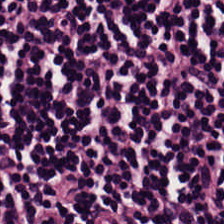H&E.
{"tissue_type": "lymphocytes"}
